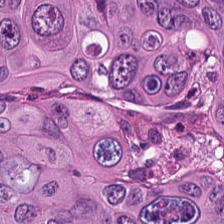Finding → tumor epithelium.
